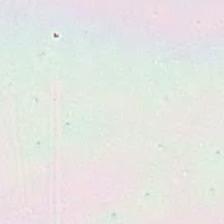H&E-stained tissue section.
No tissue present; background only.
